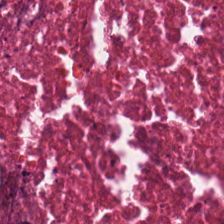224×224 px patch; hematoxylin-and-eosin stained section.
Finding → cellular debris.
